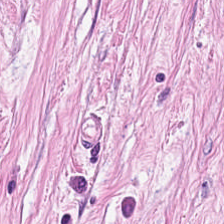Predominant tissue = cancer-associated stroma.
